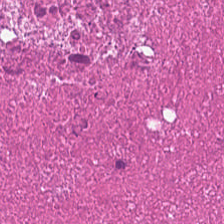Hematoxylin-and-eosin stained section.
Showing cellular debris.
